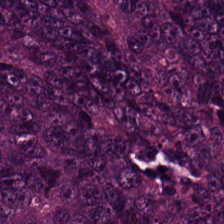Q: What tissue type is shown here?
A: It is colorectal adenocarcinoma epithelium.
